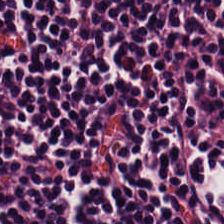This field is lymphoid infiltrate.
